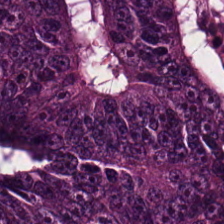0.5 µm/px · FFPE tissue section · hematoxylin-and-eosin stained section — Histology → colorectal adenocarcinoma epithelium.
